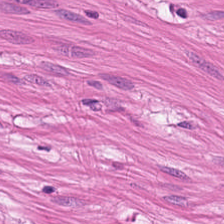Hematoxylin and eosin. Histology — smooth muscle.
